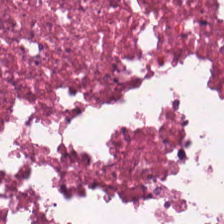H&E. Cellular debris.
